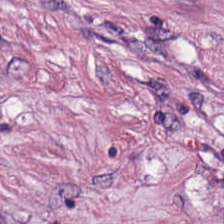The predominant tissue is tumor stroma.
